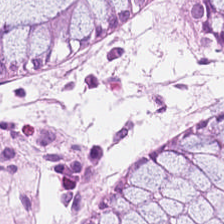Hematoxylin and eosin · formalin-fixed paraffin-embedded section. The predominant tissue is benign colonic mucosa.
